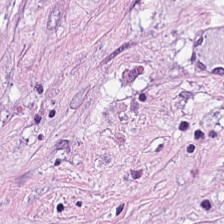Whole-slide-image patch. H&E-stained tissue section. 224×224 px tile.
{"tissue_type": "tumor-associated stroma"}
